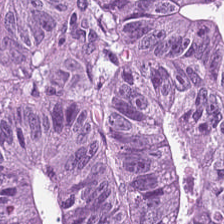H&E — malignant epithelium.
